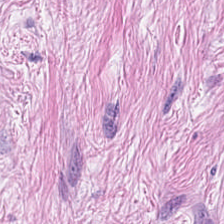Hematoxylin-and-eosin section: tumor stroma.
